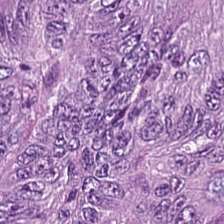H&E stain. Tissue type — tumor epithelium.
